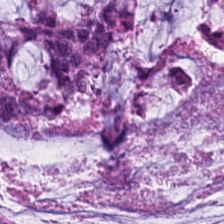Hematoxylin-and-eosin stained section · FFPE tissue section.
Predominantly extracellular mucin.
